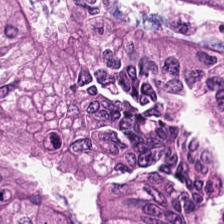Hematoxylin and eosin. FFPE tissue section. 224×224 px tile. Finding → malignant epithelium.
